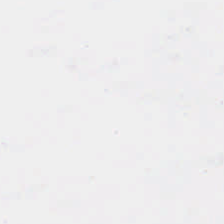Brightfield; hematoxylin-and-eosin stained section.
Background.
